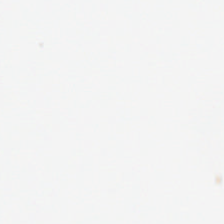Classification: empty background.
